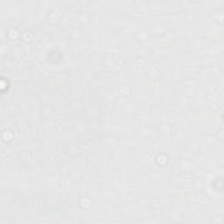Whole-slide-image patch; hematoxylin-and-eosin stained section. Q: What is shown in this field?
A: Background (no tissue).
